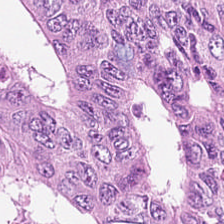224×224 px patch. Hematoxylin-and-eosin stained section — The classification is colorectal adenocarcinoma.
